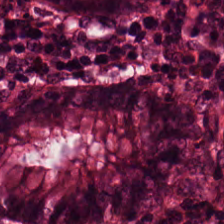H&E — benign colonic mucosa.
